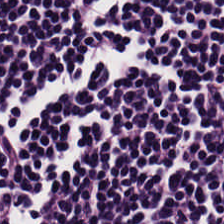The tissue type is lymphocyte aggregate.
